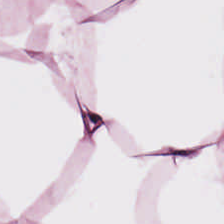H&E — fat tissue.
